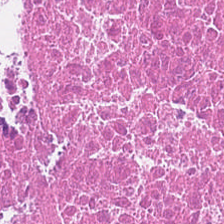Hematoxylin and eosin.
This field is cellular debris.
